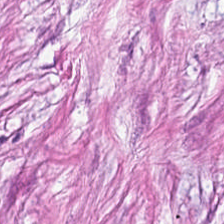H&E.
The tissue type is tumor stroma.
